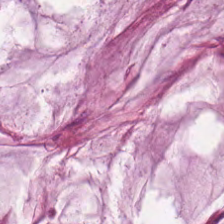Hematoxylin and eosin; 20× equivalent magnification. Q: What is the predominant tissue type?
A: It is mucus.
